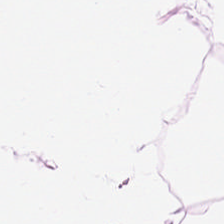Stain: H&E-stained tissue section.
Classification: adipose tissue.
